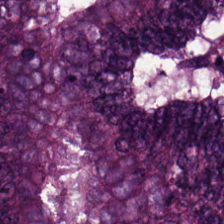FFPE · hematoxylin-and-eosin stained section. This field is adenocarcinoma.
